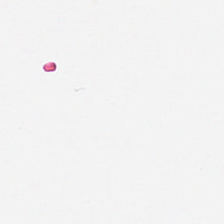0.5 µm per pixel; H&E.
Empty field — empty background.
